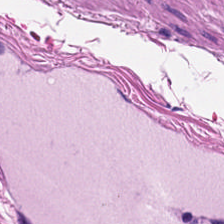Q: What is shown here?
A: It is smooth-muscle tissue.
